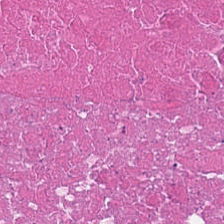Hematoxylin and eosin. 224×224 pixel tile. 0.5 µm per pixel. Q: What is shown here?
A: It is necrotic debris.
